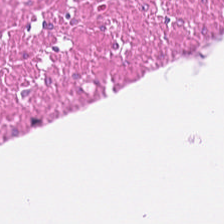0.5 µm/px · hematoxylin and eosin · 224×224 px patch — Q: What is shown in this field?
A: This is muscularis.
